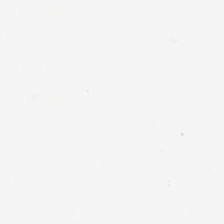H&E-stained tissue section.
This field is background (no tissue).
